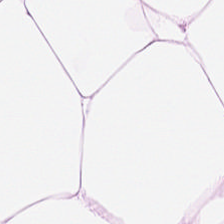Classification — adipocytes.
